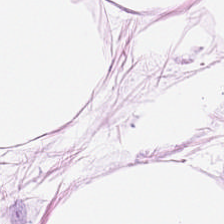FFPE. H&E-stained tissue section. {"tissue_type": "adipose"}
